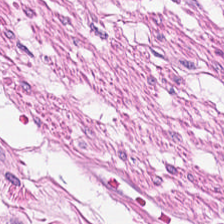Q: What tissue is shown?
A: Muscularis.
